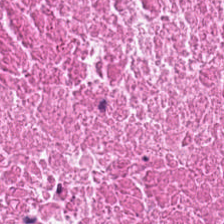Hematoxylin and eosin; FFPE tissue section.
The predominant tissue is necrotic debris.
